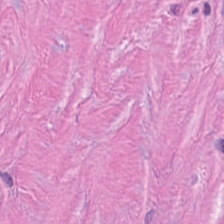Stain: hematoxylin and eosin.
Tissue: tumor-associated stroma.
